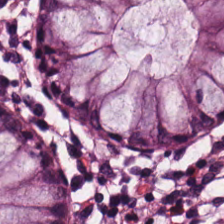Brightfield microscopy. Hematoxylin-and-eosin stained section.
Q: What tissue is shown?
A: Benign colonic mucosa.
